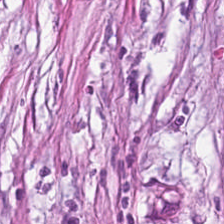{"tissue_type": "desmoplastic stroma"}
